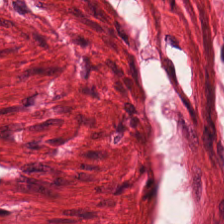0.5 µm per pixel · H&E stain.
Smooth muscle.
